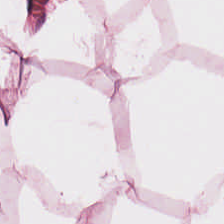{"tissue_type": "adipocytes"}
